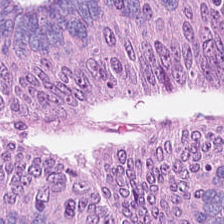224×224 px patch · H&E-stained tissue section. Q: What is shown here?
A: Tumor epithelium.
